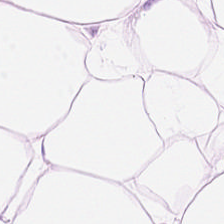H&E.
Tissue = adipocytes.
